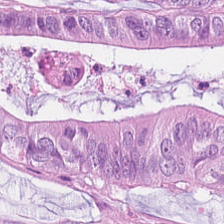H&E stain · FFPE. Tissue type: colorectal adenocarcinoma epithelium.
